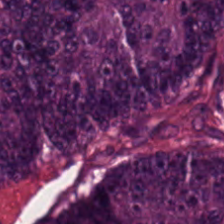H&E stain. Brightfield microscopy. Formalin-fixed paraffin-embedded section.
The predominant tissue is colorectal adenocarcinoma epithelium.
